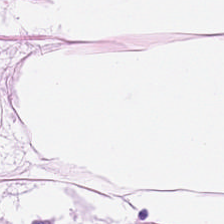0.5 microns per pixel; 224×224 px patch; H&E.
Adipose.
